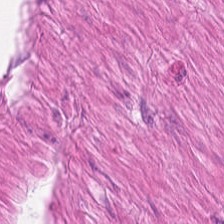Brightfield. H&E-stained tissue section.
Predominantly smooth-muscle tissue.
